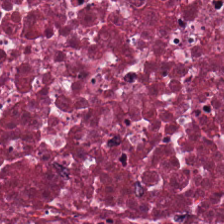The tissue here is debris.
